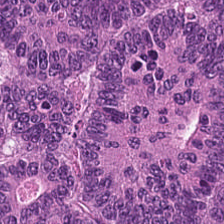Hematoxylin-and-eosin stained section; whole-slide-image patch; formalin-fixed paraffin-embedded section. Tissue: malignant epithelium.
